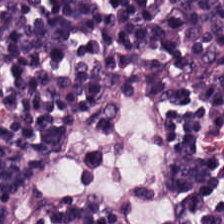H&E.
The tissue type is lymphocytic infiltrate.
